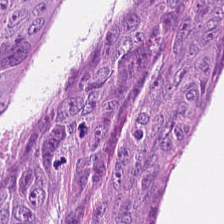H&E stain — The tissue here is malignant epithelium.
